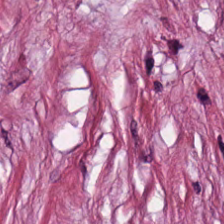WSI patch. 224×224 px tile. H&E-stained tissue section — Classification = tumor stroma.
